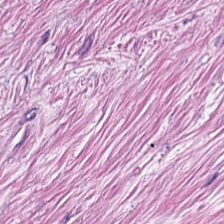H&E stain. Showing cancer-associated stroma.
